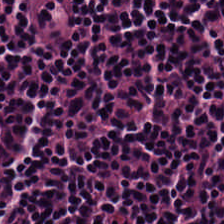Formalin-fixed paraffin-embedded section; H&E — Finding — lymphoid infiltrate.
